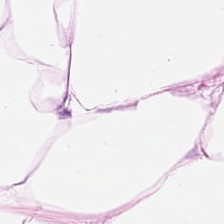H&E-stained tissue section — This patch shows adipose tissue.
